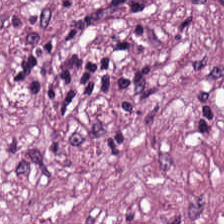The predominant tissue is tumor-associated stroma.
